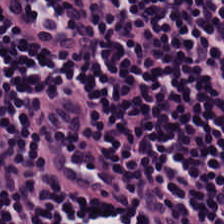This patch shows lymphocyte aggregate.
